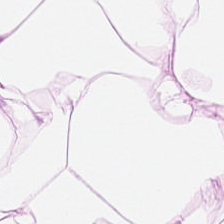Hematoxylin-and-eosin stained section — Tissue class = adipocytes.
